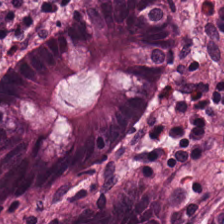Q: What is shown in this field?
A: This is non-neoplastic colon mucosa.
